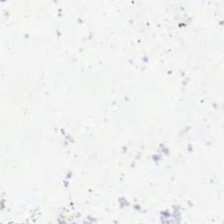Brightfield microscopy · hematoxylin and eosin — Background — no tissue in this field.
